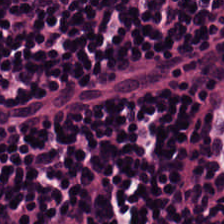0.5 µm/px · hematoxylin-and-eosin stained section · WSI patch. Histology — lymphocytes.
